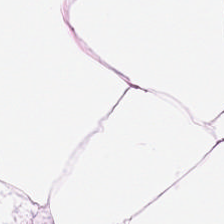Hematoxylin-and-eosin stained section. The tissue here is adipocytes.
